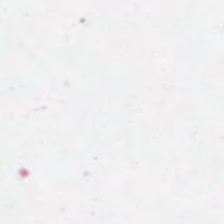No tissue present; background only.
